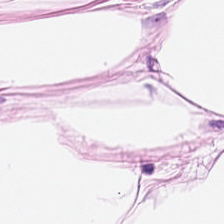Hematoxylin-and-eosin stained section.
Q: What tissue is shown?
A: Adipose tissue.
